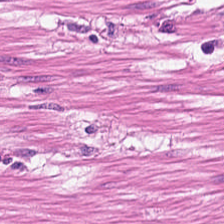Stain: hematoxylin and eosin.
Tissue: muscularis.
